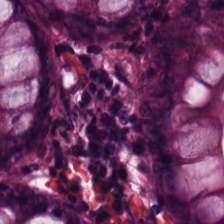224×224 px patch; WSI patch; H&E. Predominantly normal colonic mucosa.
